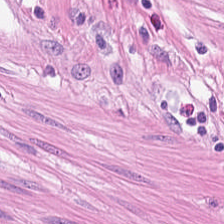0.5 µm/px; H&E-stained tissue section.
Impression — muscularis.
